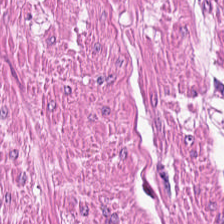Hematoxylin-and-eosin stained section — The predominant tissue is smooth muscle.
